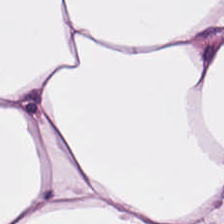Stain: H&E stain.
Tissue type: fat tissue.
